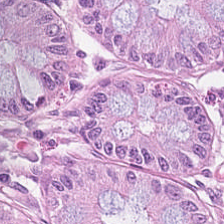H&E-stained tissue section. Finding — normal colon mucosa.
